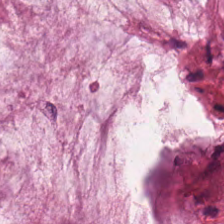Hematoxylin and eosin.
Finding → mucin.
